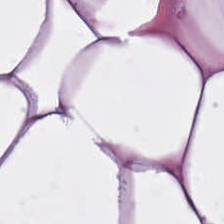This field is fat tissue.
